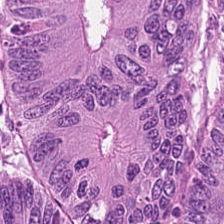224×224 pixel tile; H&E.
Q: Identify the tissue.
A: Tumor epithelium.
